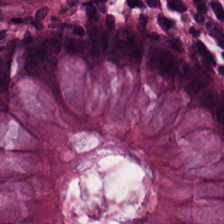H&E stain; 0.5 microns per pixel.
The predominant tissue is benign colonic mucosa.
